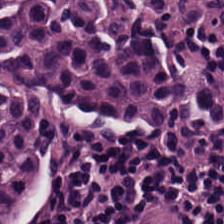H&E stain; 0.5 µm per pixel. This patch shows lymphocytes.
